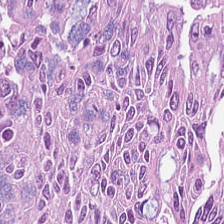H&E. The predominant tissue is tumor epithelium.
